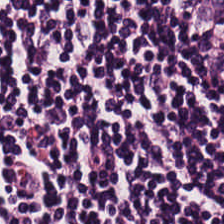Hematoxylin-and-eosin stained section. The predominant tissue is lymphocytes.
